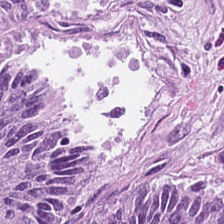This patch shows colorectal adenocarcinoma epithelium.
